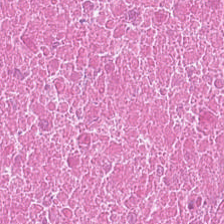Stain: hematoxylin-and-eosin stained section.
Preparation: formalin-fixed paraffin-embedded section.
Acquisition: brightfield microscopy.
Tissue: debris.
